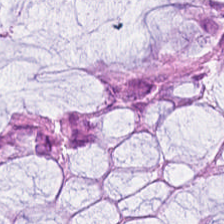Brightfield microscopy; H&E; FFPE — The predominant tissue is benign colonic mucosa.
